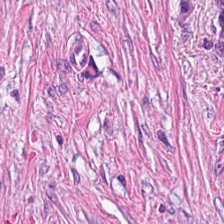FFPE tissue section · H&E · 0.5 µm/px.
The tissue is desmoplastic stroma.
